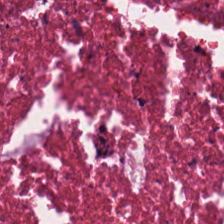Tissue class: debris.
